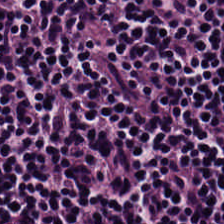Stain: hematoxylin and eosin.
Tissue class: lymphocytes.
